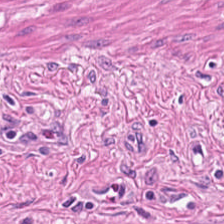224×224 pixel tile; hematoxylin and eosin. This field is smooth-muscle tissue.
